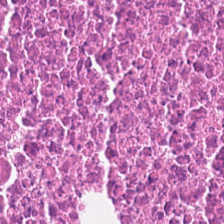H&E — Classification — cellular debris.
